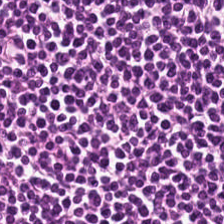H&E-stained tissue section. Whole-slide-image patch. Predominantly lymphocytic infiltrate.
